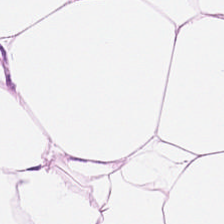Hematoxylin-and-eosin stained section. WSI patch. 20× equivalent magnification.
Impression — adipose tissue.
